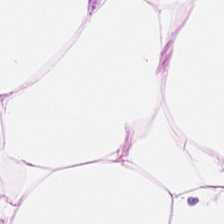FFPE tissue section. Hematoxylin-and-eosin stained section. 0.5 µm/px. Predominant tissue = adipocytes.
